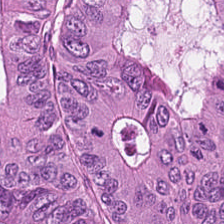H&E-stained tissue section; FFPE tissue section — {"tissue_type": "colorectal adenocarcinoma epithelium"}
